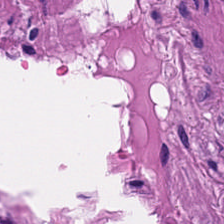Hematoxylin and eosin.
Predominantly smooth-muscle tissue.
